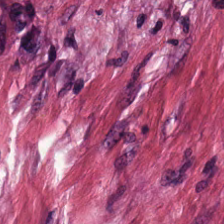H&E-stained tissue section — Q: What does this patch show?
A: This is cancer-associated stroma.
